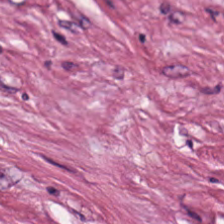224×224 px tile; H&E; 0.5 microns per pixel.
This field is tumor stroma.
